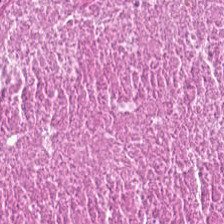H&E.
Debris.
